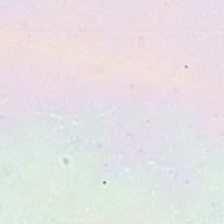Field content — background.
